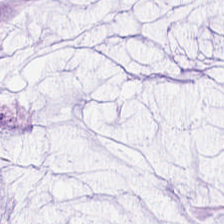H&E. Impression → mucin.
